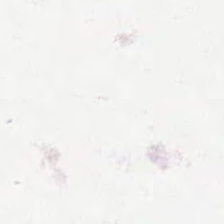H&E — Q: What is shown here?
A: Background (no tissue).
